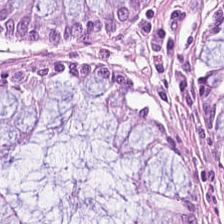H&E-stained tissue section. Tissue — non-neoplastic colon mucosa.
